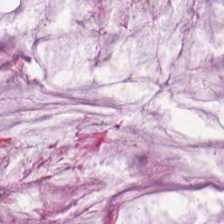0.5 µm per pixel; hematoxylin and eosin; WSI patch — This field is mucin.
